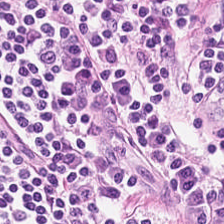The tissue here is lymphoid infiltrate.
